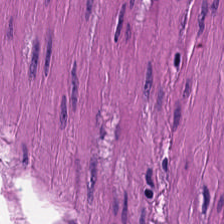H&E-stained section; the field shows muscularis.
